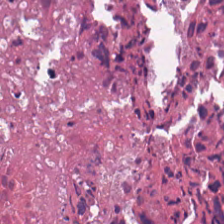H&E — Showing necrotic debris.
